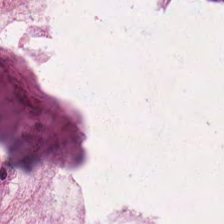FFPE; 20× equivalent magnification; H&E stain. Histology — extracellular mucin.
